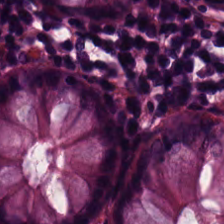H&E · whole-slide-image patch.
Q: What type of tissue is this?
A: It is non-neoplastic colon mucosa.
